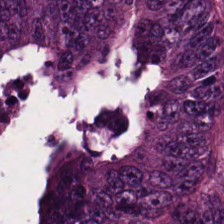H&E-stained tissue section · formalin-fixed paraffin-embedded section — Q: Classify this patch.
A: The field shows malignant epithelium.
